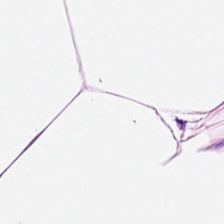Hematoxylin-and-eosin stained section · 224×224 px patch — Adipose.
